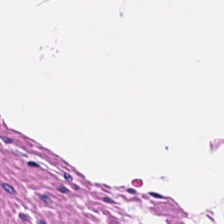224×224 pixel tile; H&E — Tissue class: muscularis.
